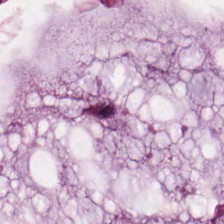Finding → mucus.
